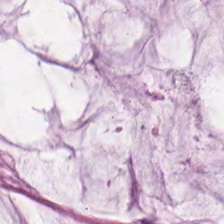Stain: hematoxylin and eosin.
Predominant tissue: mucus.
